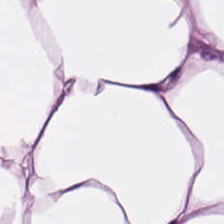0.5 microns per pixel. Whole-slide-image patch. H&E stain — Q: Classify this patch.
A: The field shows adipocytes.
